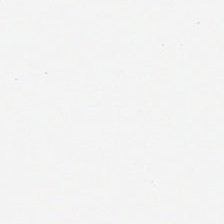H&E stain. 224×224 px patch. The tissue is adipose.
